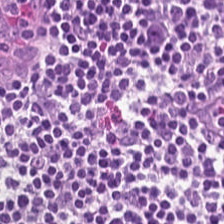Hematoxylin-and-eosin section: lymphocyte aggregate.
